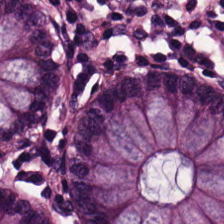Stain: hematoxylin-and-eosin stained section.
Tile size: 224×224 px tile.
Resolution: 20× equivalent magnification.
Tissue type: non-neoplastic colon mucosa.
